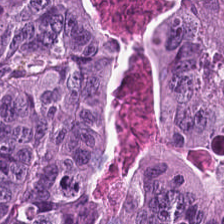H&E-stained tissue section. Brightfield. 0.5 µm/px — This patch shows colorectal adenocarcinoma.
